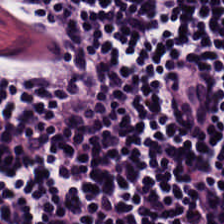Hematoxylin and eosin — Finding → lymphocytes.
